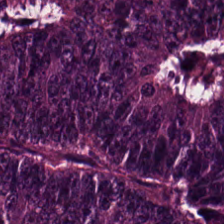Hematoxylin-and-eosin stained section — Predominantly colorectal adenocarcinoma.
